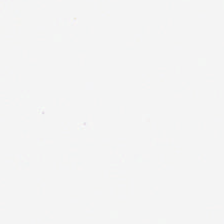H&E · 224×224 px patch.
Q: Classify this patch.
A: The field shows empty background.
